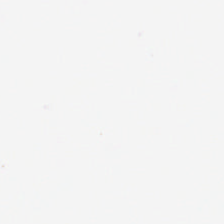FFPE tissue section. H&E-stained tissue section.
Q: What is shown in this field?
A: Background (no tissue).
